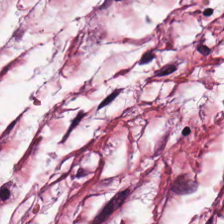Classification = tumor-associated stroma.
